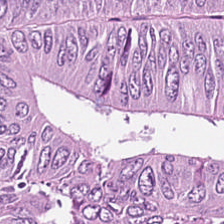Hematoxylin and eosin — {"tissue_type": "adenocarcinoma"}
